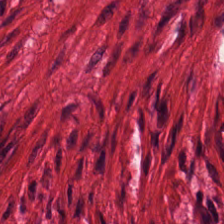H&E stain. Q: What tissue is shown?
A: It is smooth-muscle tissue.
